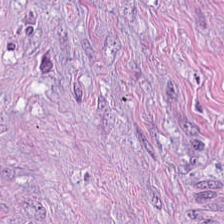H&E-stained tissue section. 0.5 microns per pixel. Brightfield. Showing tumor stroma.
